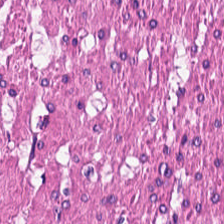Predominantly smooth-muscle tissue.
